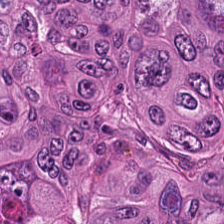H&E-stained tissue section. The tissue here is colorectal adenocarcinoma.
